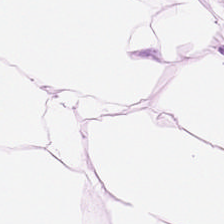Q: What type of tissue is this?
A: It is adipose tissue.
